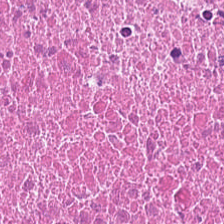Stain: H&E stain.
Acquisition: WSI patch.
Tile size: 224×224 px tile.
Tissue type: debris.
